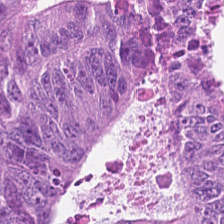224×224 pixel tile; H&E; 20× equivalent magnification.
Q: Identify the tissue.
A: The field shows colorectal adenocarcinoma.
